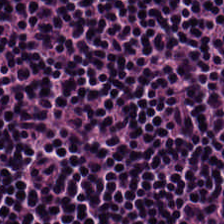Hematoxylin-and-eosin stained section; FFPE tissue section; 224×224 px tile. This field is lymphocyte aggregate.
